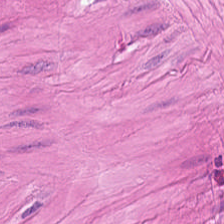H&E · 20× equivalent magnification · WSI patch. This patch shows muscularis.
